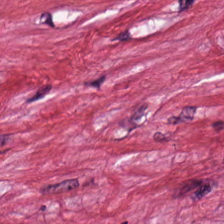H&E-stained section; the field shows cancer-associated stroma.
